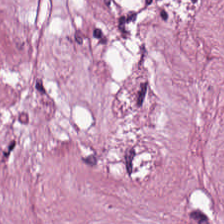H&E-stained tissue section; brightfield microscopy; 0.5 µm/px — Impression — tumor-associated stroma.
